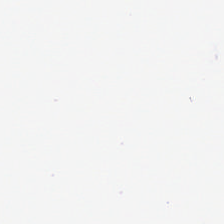H&E-stained tissue section; 224×224 px tile. Impression — no tissue.
